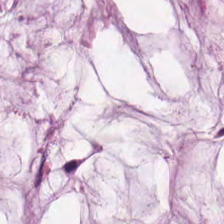H&E-stained section; the field shows extracellular mucin.
